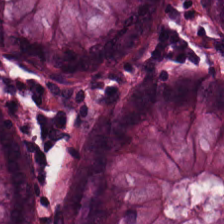Stain: H&E-stained tissue section.
Tile size: 224×224 px tile.
Tissue: non-neoplastic colon mucosa.
